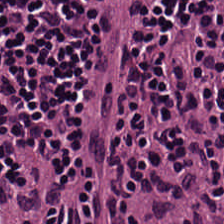H&E stain — Q: What is shown in this field?
A: It is lymphocyte aggregate.
